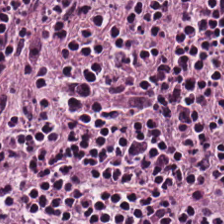224×224 px tile; hematoxylin and eosin.
Histology — lymphocytic infiltrate.
